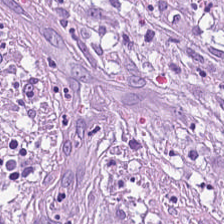Q: What is the predominant tissue type?
A: The field shows desmoplastic stroma.
